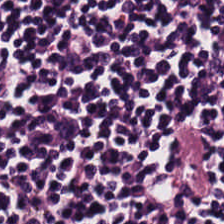This patch shows lymphocytes.
